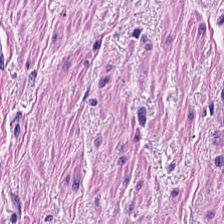Smooth muscle.
